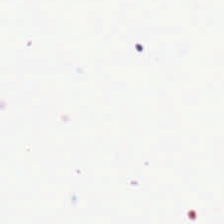No tissue present; background only.
